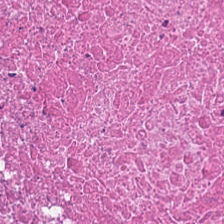Stain: hematoxylin and eosin.
Tissue class: necrotic debris.
